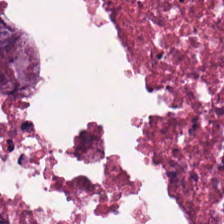H&E stain. Q: What is shown here?
A: Debris.
